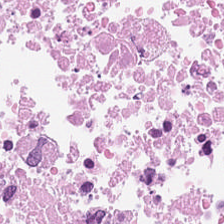H&E — The tissue is necrotic debris.
